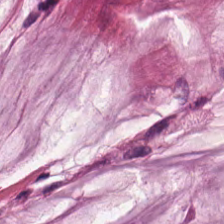Q: What tissue type is shown here?
A: Extracellular mucin.
